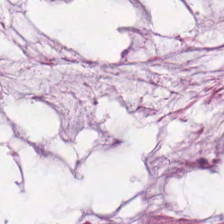The predominant tissue is mucin.
